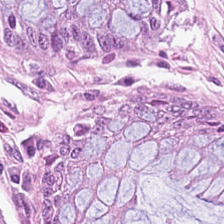0.5 microns per pixel; H&E-stained tissue section — Q: What is shown here?
A: The field shows normal colonic mucosa.
